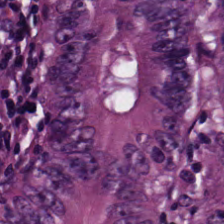Stain: H&E.
Preparation: formalin-fixed paraffin-embedded section.
Predominant tissue: colorectal adenocarcinoma.
